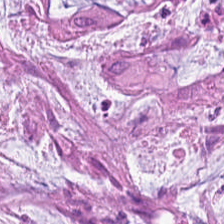224×224 px patch · H&E-stained tissue section — {"tissue_type": "mucin"}
